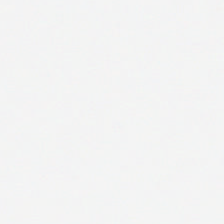Stain: H&E stain.
Content: background.
